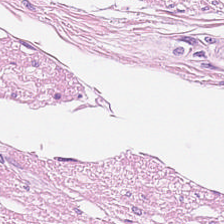H&E-stained tissue section — Smooth-muscle tissue.
